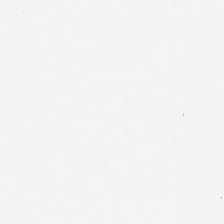H&E-stained tissue section.
{"content": "empty background"}
